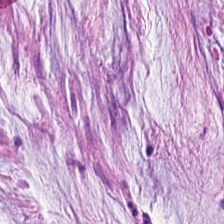H&E — Q: What is the predominant tissue type?
A: This is mucus.
